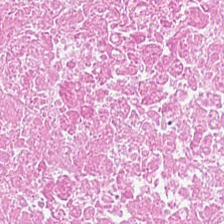FFPE. 0.5 µm per pixel. Hematoxylin and eosin. Histology — debris.
